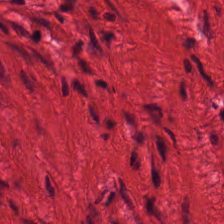Stain: hematoxylin-and-eosin stained section.
Tissue: smooth-muscle tissue.
